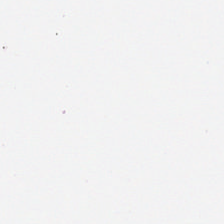The classification is background (no tissue).
